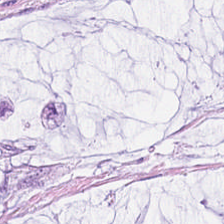H&E-stained tissue section.
Histology — mucus.
